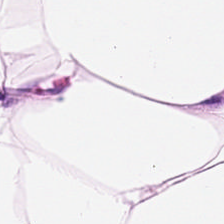H&E-stained tissue section.
Tissue class — adipose.
